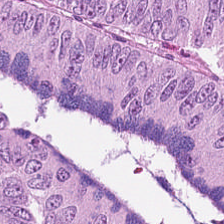H&E. {"tissue_type": "colorectal adenocarcinoma"}
